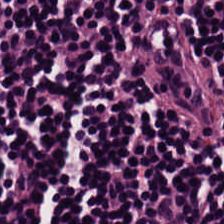H&E stain. WSI patch — The tissue here is lymphocytic infiltrate.
